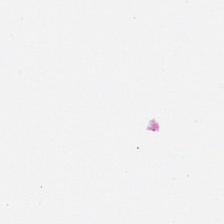0.5 µm per pixel. 224×224 px tile. H&E — Background — no tissue in this field.
